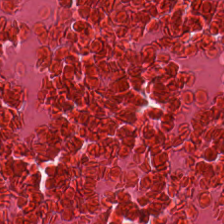H&E-stained tissue section. Formalin-fixed paraffin-embedded section.
Histology — debris.
